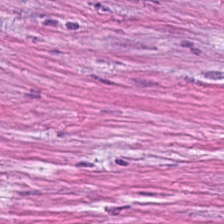Hematoxylin and eosin — Showing tumor stroma.
